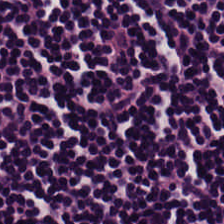H&E-stained tissue section · FFPE.
Q: What type of tissue is this?
A: This is lymphoid infiltrate.
